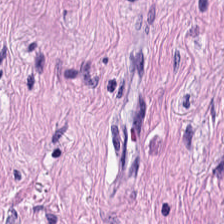Brightfield; H&E stain; formalin-fixed paraffin-embedded section.
Tissue: smooth muscle.
